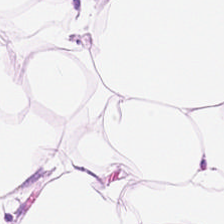0.5 µm per pixel; hematoxylin and eosin; FFPE — This patch shows adipocytes.
